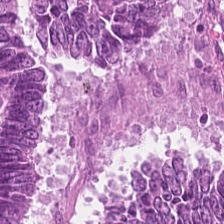FFPE; hematoxylin-and-eosin stained section.
Adenocarcinoma.
